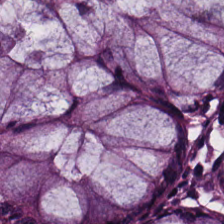FFPE tissue section. Hematoxylin-and-eosin stained section.
Predominantly benign colonic mucosa.
